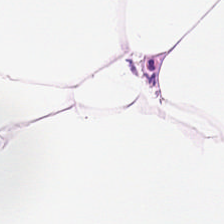FFPE; H&E. This patch shows adipose tissue.
